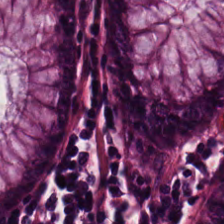Q: Classify this patch.
A: This is normal colon mucosa.
